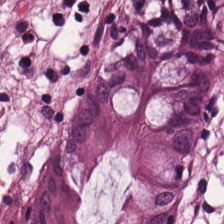H&E. FFPE — Finding — non-neoplastic colon mucosa.
